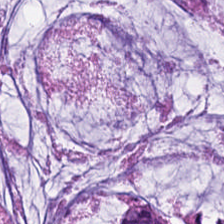H&E stain — Mucin.
